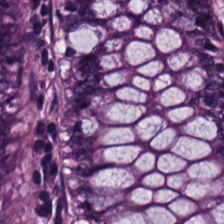Hematoxylin and eosin. This field is normal colon mucosa.
